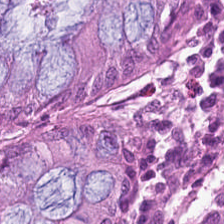Brightfield. 0.5 microns per pixel. Hematoxylin and eosin.
The predominant tissue is normal colonic mucosa.
